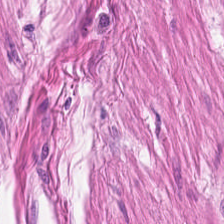H&E stain; 224×224 px patch; FFPE tissue section. Smooth-muscle tissue.
